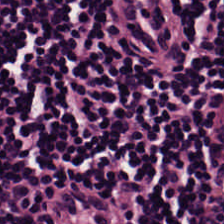Q: What type of tissue is this?
A: Lymphocytic infiltrate.
